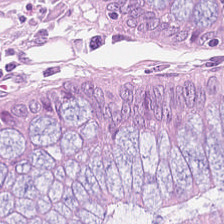Stain: hematoxylin and eosin.
Tissue: normal colon mucosa.
